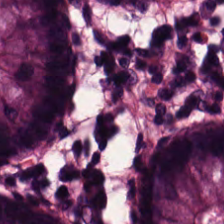H&E stain. Brightfield. 0.5 µm per pixel.
Q: What tissue is shown?
A: Benign colonic mucosa.
